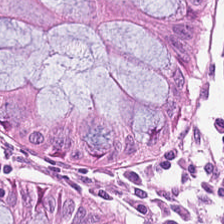Brightfield · H&E stain · 0.5 microns per pixel — Q: Classify this patch.
A: The field shows normal colonic mucosa.
